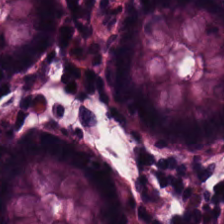Histology — non-neoplastic colon mucosa.
